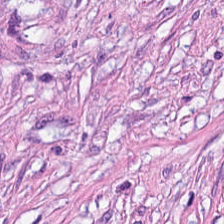H&E — The tissue type is tumor-associated stroma.
